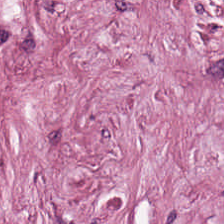WSI patch · 0.5 µm/px · H&E stain. The tissue here is tumor-associated stroma.
